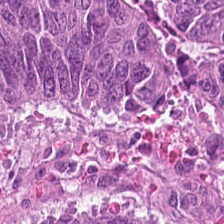H&E. 224×224 pixel tile.
{"tissue_type": "tumor epithelium"}
